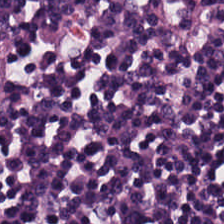Hematoxylin-and-eosin stained section. {"tissue_type": "lymphoid infiltrate"}
